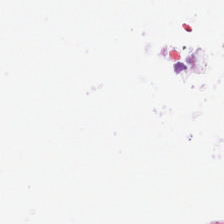Hematoxylin and eosin.
{"content": "background"}
